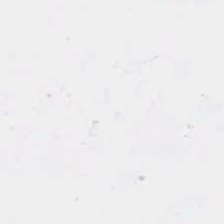FFPE · H&E-stained tissue section.
Background (no tissue).
